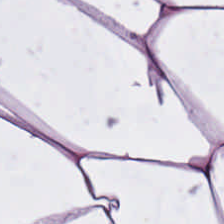H&E stain — This patch shows fat tissue.
